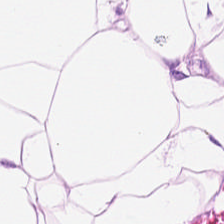FFPE tissue section · 0.5 µm per pixel · hematoxylin-and-eosin stained section — {"tissue_type": "adipose tissue"}
